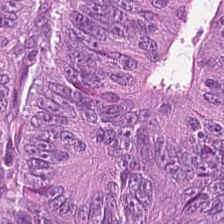H&E stain. Finding — tumor epithelium.
